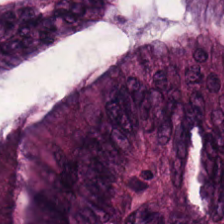H&E-stained tissue section — The tissue here is colorectal adenocarcinoma.
